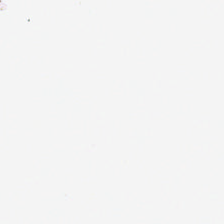0.5 µm per pixel. FFPE tissue section. Hematoxylin-and-eosin stained section.
Impression — background.
